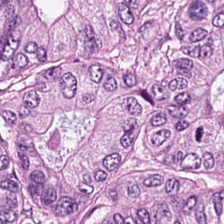H&E.
Classification = adenocarcinoma.
